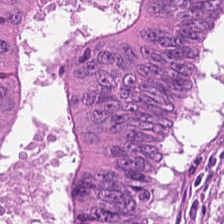The predominant tissue is colorectal adenocarcinoma epithelium.
